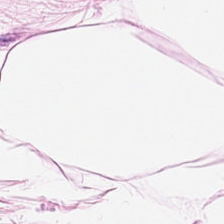0.5 µm per pixel. H&E stain — The tissue here is adipose.
